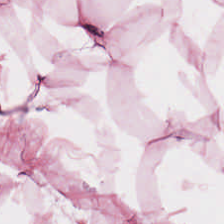Hematoxylin-and-eosin stained section · 224×224 px patch. Adipose.
